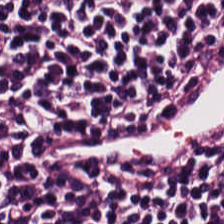Lymphoid infiltrate.
